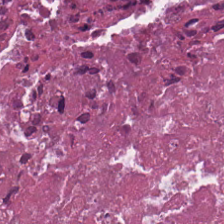Hematoxylin and eosin. Predominantly necrotic debris.
